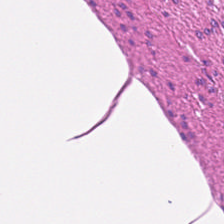H&E stain. FFPE tissue section — Q: What tissue type is shown here?
A: The field shows muscularis.
